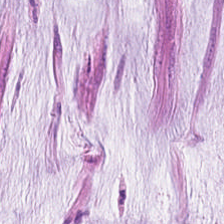{"tissue_type": "mucin"}
